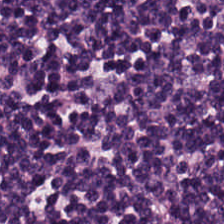H&E stain — Q: What is the predominant tissue type?
A: This is lymphocytes.
